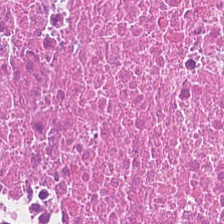H&E stain. Tissue type: necrotic debris.
